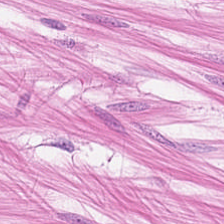Impression — smooth-muscle tissue.
